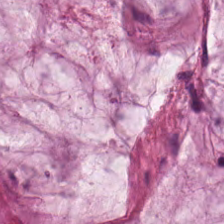0.5 µm/px. WSI patch. Hematoxylin and eosin.
{"tissue_type": "extracellular mucin"}
